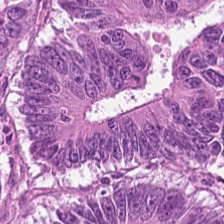0.5 µm/px · 224×224 pixel tile · hematoxylin-and-eosin stained section. Predominantly tumor epithelium.
